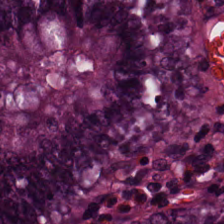Stain: H&E-stained tissue section.
Tissue type: benign colonic mucosa.
